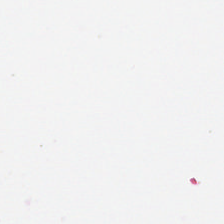224×224 px patch; H&E. {"content": "background (no tissue)"}
